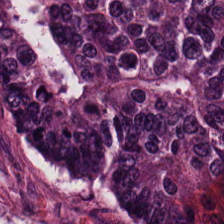H&E stain — Histology — colorectal adenocarcinoma epithelium.
